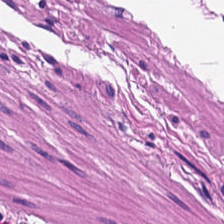Q: What is shown here?
A: The field shows smooth-muscle tissue.
